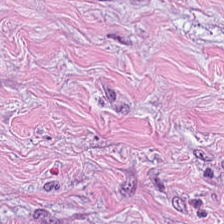0.5 µm/px. H&E.
This patch shows desmoplastic stroma.
